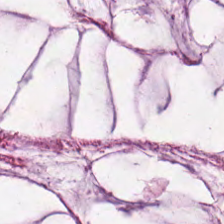H&E · FFPE. Q: What is the predominant tissue type?
A: It is mucus.
